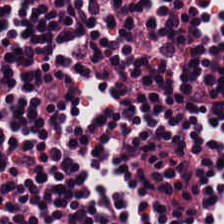H&E-stained section; the field shows lymphoid infiltrate.
